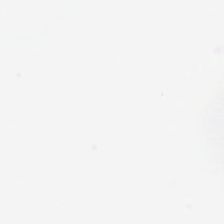WSI patch. H&E — The content is background (no tissue).
